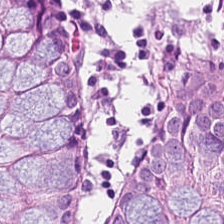224×224 px tile · H&E-stained tissue section.
Impression → benign colonic mucosa.
